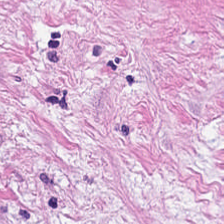Predominantly desmoplastic stroma.
